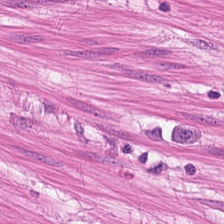Predominant tissue = smooth muscle.
